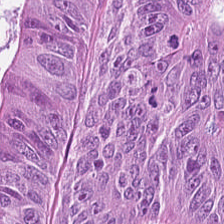H&E stain — Tissue = colorectal adenocarcinoma.
